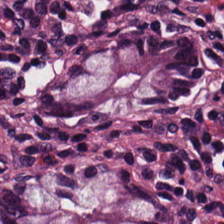Q: Identify the tissue.
A: This is non-neoplastic colon mucosa.
